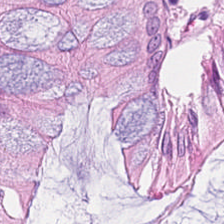Hematoxylin-and-eosin stained section — The tissue here is normal colonic mucosa.
